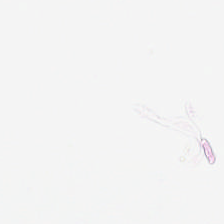Hematoxylin and eosin.
Background — no tissue in this field.
